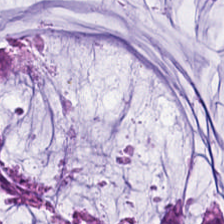Hematoxylin-and-eosin stained section. Tissue class: mucus.
